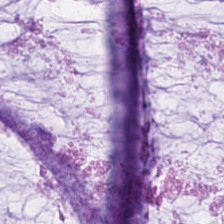Hematoxylin and eosin — Tissue type: extracellular mucin.
